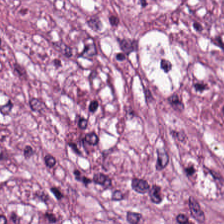H&E. {"tissue_type": "tumor stroma"}
